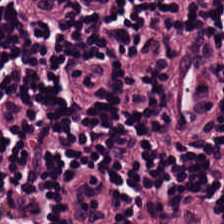Stain: H&E.
Classification: lymphoid infiltrate.
